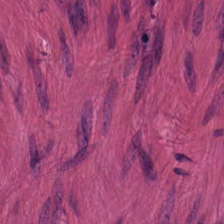The tissue here is smooth muscle.
